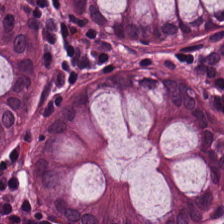Stain: hematoxylin-and-eosin stained section.
Tissue: non-neoplastic colon mucosa.
